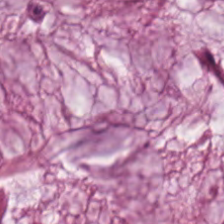H&E. This field is mucus.
